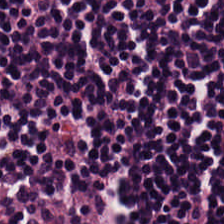Brightfield. H&E stain.
{"tissue_type": "lymphocyte aggregate"}
